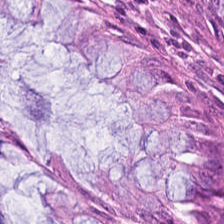H&E stain. This field is non-neoplastic colon mucosa.
